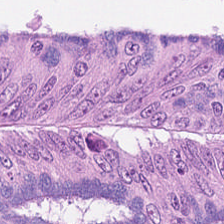Hematoxylin-and-eosin stained section. Tissue = colorectal adenocarcinoma.
